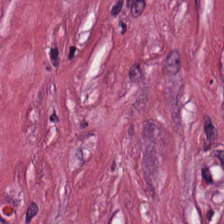The tissue here is desmoplastic stroma.
